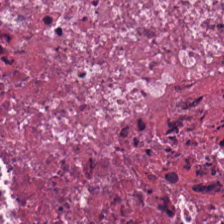Hematoxylin and eosin — The tissue class is cellular debris.
